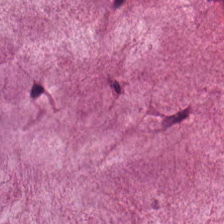H&E — Impression — mucin.
